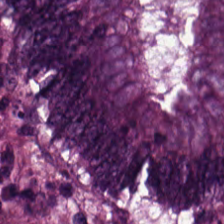{"tissue_type": "colorectal adenocarcinoma epithelium"}
